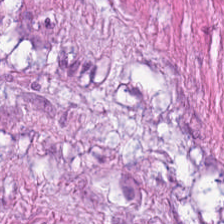Whole-slide-image patch · hematoxylin-and-eosin stained section — This patch shows smooth-muscle tissue.
